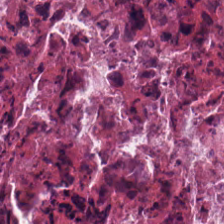This patch shows cellular debris.
